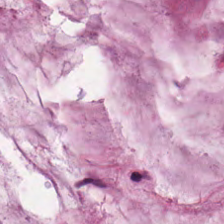H&E. Mucus.
